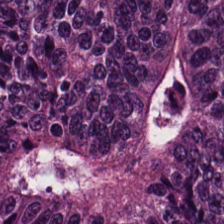Q: What tissue type is shown here?
A: This is tumor epithelium.
